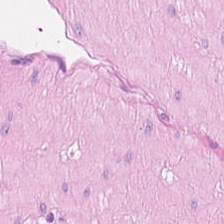H&E — Tissue class = muscularis.
